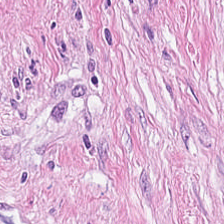H&E stain — This field is cancer-associated stroma.
